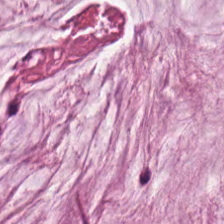0.5 microns per pixel · H&E-stained tissue section · 224×224 px patch — The tissue class is extracellular mucin.
